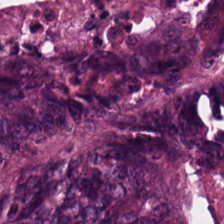0.5 microns per pixel · H&E.
Predominantly colorectal adenocarcinoma.
